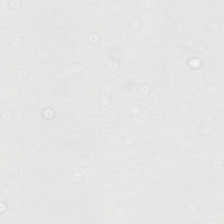Hematoxylin-and-eosin stained section — This patch shows no tissue.
